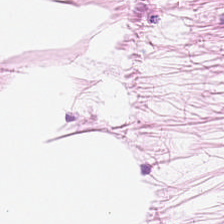The tissue here is adipose.
